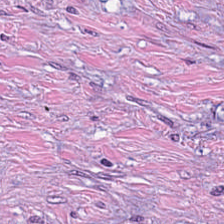20× equivalent magnification · FFPE tissue section · hematoxylin-and-eosin stained section.
Tissue — tumor-associated stroma.
